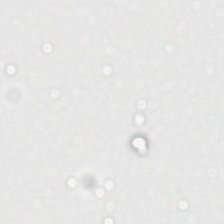H&E stain — Histology — background.
